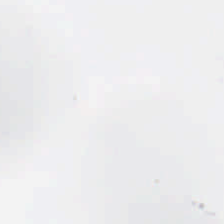H&E — The classification is background.
